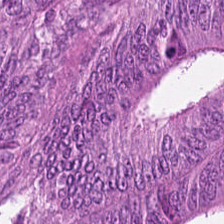H&E-stained tissue section.
Showing colorectal adenocarcinoma epithelium.
